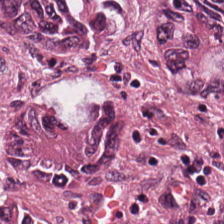Stain: hematoxylin and eosin.
Tile size: 224×224 pixel tile.
Acquisition: whole-slide-image patch.
Tissue: tumor epithelium.
